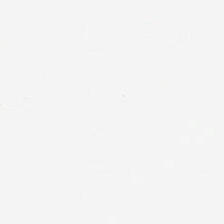H&E-stained tissue section; formalin-fixed paraffin-embedded section.
No tissue present; background only.
